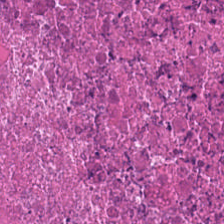H&E; FFPE tissue section.
Showing debris.
